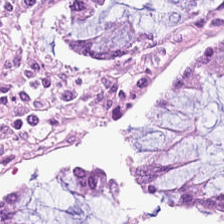{"tissue_type": "benign colonic mucosa"}
